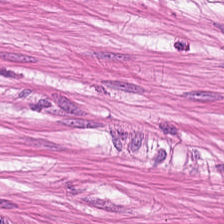Histology → smooth-muscle tissue.
